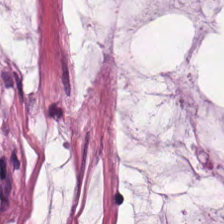224×224 pixel tile; hematoxylin-and-eosin stained section; 0.5 µm per pixel — Predominantly mucin.
